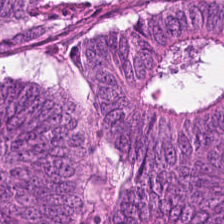H&E-stained tissue section.
Q: What is shown in this field?
A: Malignant epithelium.
